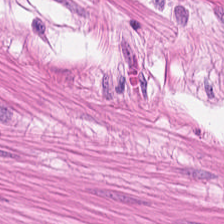Stain: H&E-stained tissue section.
Acquisition: whole-slide-image patch.
Tissue type: smooth muscle.
